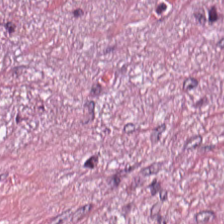Classification: desmoplastic stroma.
